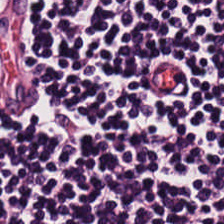H&E-stained tissue section — Q: What tissue is shown?
A: This is lymphocyte aggregate.
